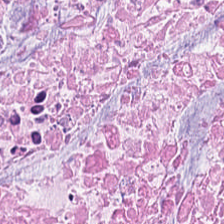H&E — Q: Classify this patch.
A: The field shows cellular debris.
